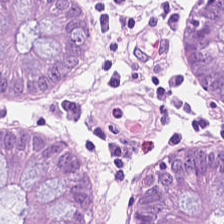Stain: hematoxylin and eosin.
Resolution: 0.5 µm per pixel.
Tissue: normal colonic mucosa.
